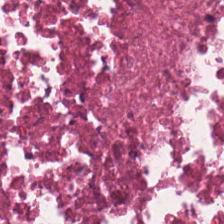Hematoxylin-and-eosin stained section.
Tissue class = necrotic debris.
